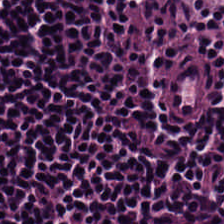224×224 px tile; hematoxylin-and-eosin stained section.
Tissue type: lymphocytic infiltrate.
